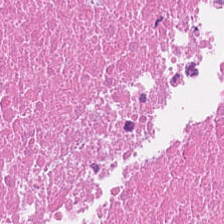Hematoxylin and eosin — {"tissue_type": "necrotic debris"}
